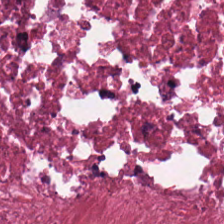Hematoxylin and eosin · FFPE tissue section — This patch shows necrotic debris.
